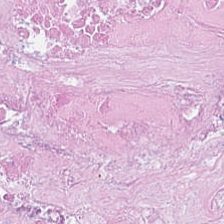Stain: hematoxylin and eosin.
Acquisition: brightfield microscopy.
Resolution: 0.5 microns per pixel.
Predominant tissue: debris.
